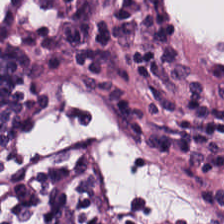Tissue class — lymphocytic infiltrate.
